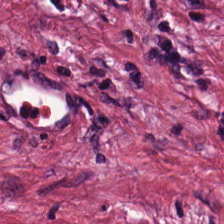H&E-stained tissue section — Histology → cancer-associated stroma.
